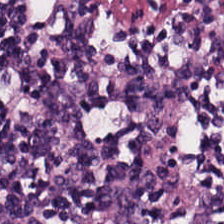H&E — The predominant tissue is lymphocytes.
